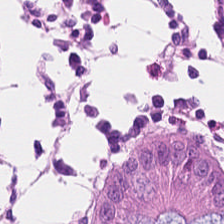H&E-stained tissue section. The tissue type is normal colonic mucosa.
